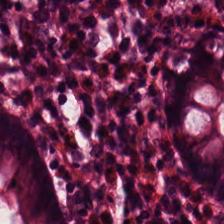The tissue here is benign colonic mucosa.
